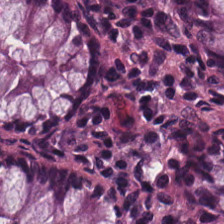The predominant tissue is normal colon mucosa.
